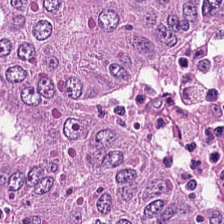Stain: hematoxylin-and-eosin stained section.
Acquisition: brightfield microscopy.
Predominant tissue: adenocarcinoma.
